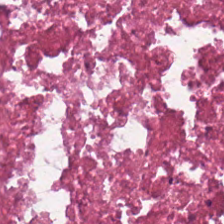Predominant tissue — necrotic debris.
